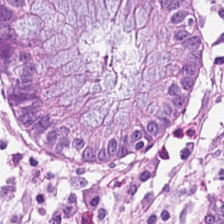H&E stain.
Predominantly benign colonic mucosa.
